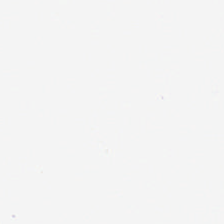H&E-stained tissue section. Q: Classify this patch.
A: Empty background.
